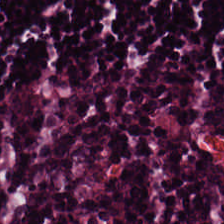H&E stain. 224×224 pixel tile — {"tissue_type": "lymphocytic infiltrate"}
